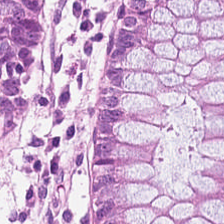Q: What type of tissue is this?
A: The field shows non-neoplastic colon mucosa.
